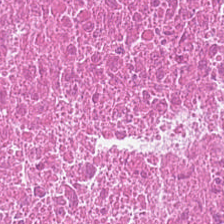Hematoxylin-and-eosin stained section — Showing necrotic debris.
